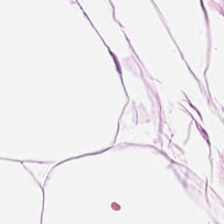H&E-stained tissue section; FFPE; WSI patch — Q: What is the predominant tissue type?
A: It is adipose tissue.
